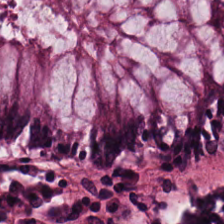Stain: H&E stain.
Predominant tissue: normal colonic mucosa.
